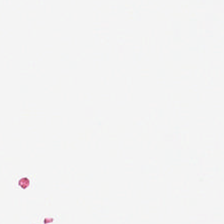0.5 µm/px; hematoxylin-and-eosin stained section — {"content": "background"}
